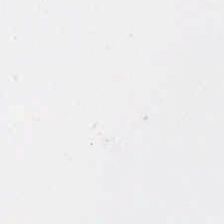Classification — background.
